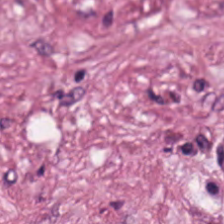H&E — desmoplastic stroma.
